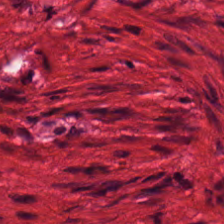Hematoxylin-and-eosin stained section. This field is muscularis.
